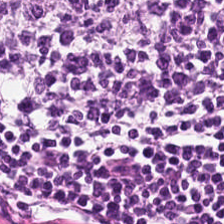Q: What is shown in this field?
A: It is lymphocytes.
